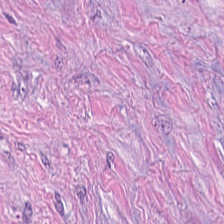Hematoxylin and eosin. Q: What does this patch show?
A: Cancer-associated stroma.
